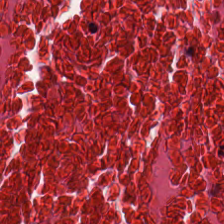H&E-stained tissue section. FFPE tissue section — The predominant tissue is necrotic debris.
